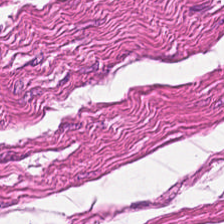Brightfield microscopy · 224×224 pixel tile · H&E stain.
The tissue is muscularis.
